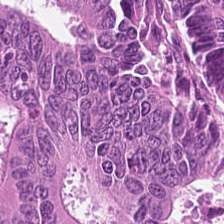Stain: H&E.
Predominant tissue: colorectal adenocarcinoma.
